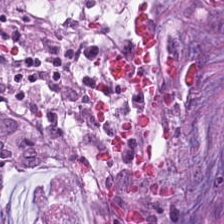H&E — mucin.
